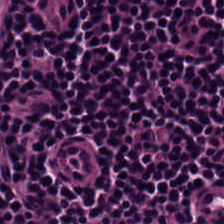Hematoxylin and eosin — Predominantly lymphocyte aggregate.
